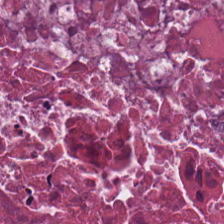Stain: hematoxylin-and-eosin stained section.
Tissue: debris.
